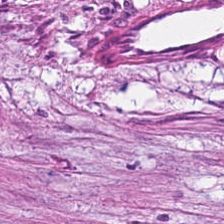H&E-stained tissue section. 224×224 pixel tile. This patch shows desmoplastic stroma.
